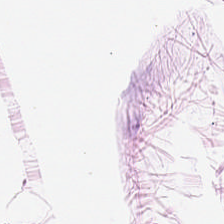Hematoxylin and eosin — Finding — fat tissue.
